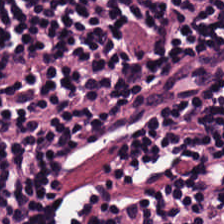H&E stain.
The predominant tissue is lymphoid infiltrate.
